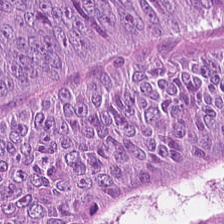H&E-stained tissue section; 0.5 microns per pixel.
Showing colorectal adenocarcinoma.
